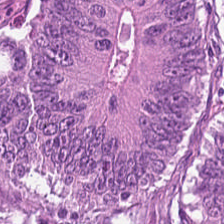224×224 px patch; H&E; formalin-fixed paraffin-embedded section.
Predominant tissue: adenocarcinoma.
